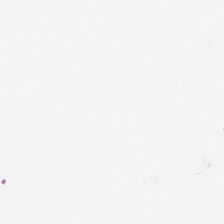H&E.
Classification = background (no tissue).
